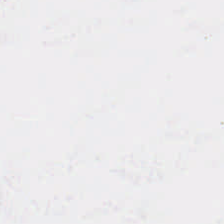224×224 pixel tile; hematoxylin-and-eosin stained section — The classification is background.
